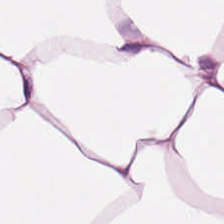Histology — adipose.
